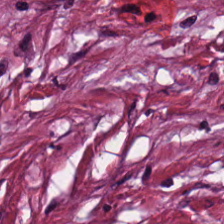H&E-stained tissue section. This field is tumor-associated stroma.
